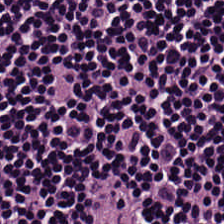224×224 px tile · hematoxylin and eosin. Tissue class — lymphocyte aggregate.
